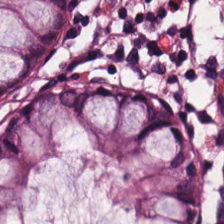Hematoxylin-and-eosin stained section. 20× equivalent magnification.
{"tissue_type": "benign colonic mucosa"}
